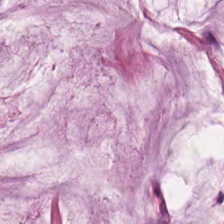Whole-slide-image patch · hematoxylin-and-eosin stained section · formalin-fixed paraffin-embedded section.
Impression — extracellular mucin.
